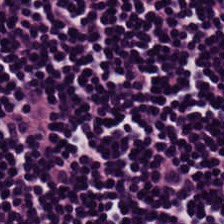0.5 µm/px; H&E-stained tissue section. This patch shows lymphocytic infiltrate.
